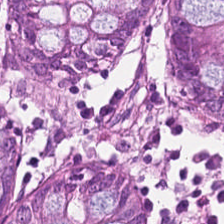Hematoxylin-and-eosin section: normal colon mucosa.
